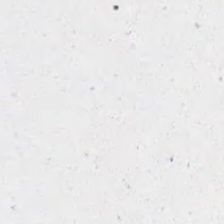H&E-stained tissue section. No tissue present; background only.
